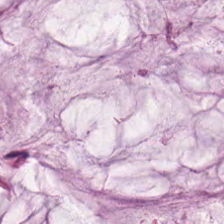Tissue class = mucin.
